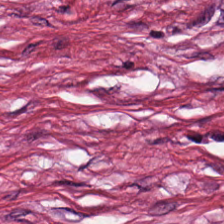Classification: cancer-associated stroma.
